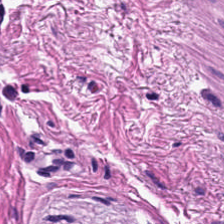H&E — Q: Identify the tissue.
A: Muscularis.
